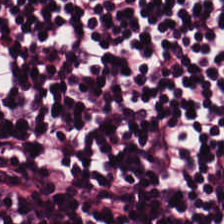H&E stain. Tissue class — lymphoid infiltrate.
